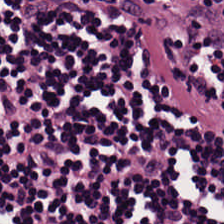H&E.
Lymphocytes.
